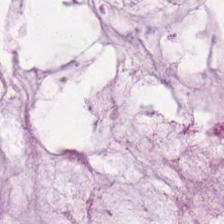0.5 microns per pixel. Hematoxylin and eosin. Whole-slide-image patch. This field is mucin.
